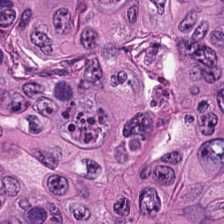H&E-stained tissue section. Colorectal adenocarcinoma epithelium.
